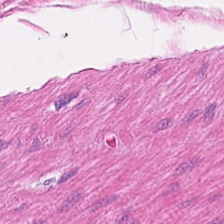Stain: H&E.
Resolution: 0.5 microns per pixel.
Tissue type: smooth muscle.
